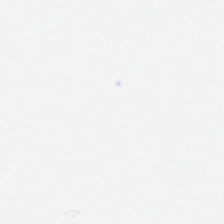Q: What does this patch show?
A: It is background (no tissue).
